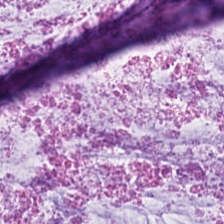Finding — mucin.
